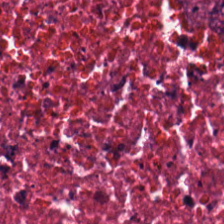0.5 microns per pixel · H&E-stained tissue section. {"tissue_type": "cellular debris"}
